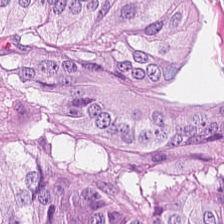Formalin-fixed paraffin-embedded section. 224×224 px patch. Hematoxylin and eosin. The predominant tissue is tumor epithelium.
